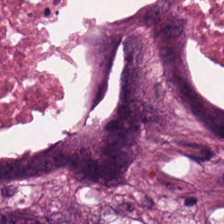H&E stain — {"tissue_type": "necrotic debris"}
